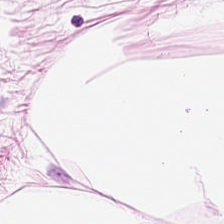H&E-stained section; the field shows fat tissue.
